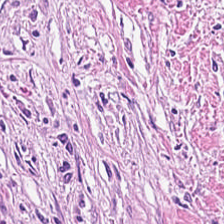Brightfield microscopy · hematoxylin and eosin · 20× equivalent magnification — Tumor stroma.
